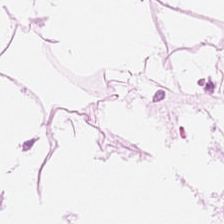Tissue class — adipose tissue.
